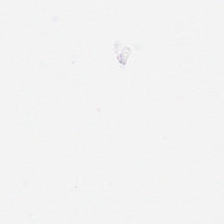224×224 px patch · H&E-stained tissue section — Classification — background.
